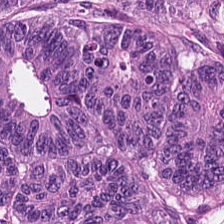H&E patch showing malignant epithelium.
